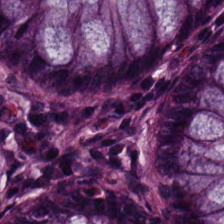Whole-slide-image patch; hematoxylin and eosin. Q: What tissue type is shown here?
A: The field shows benign colonic mucosa.
